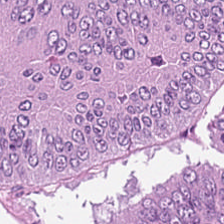H&E stain — Predominantly malignant epithelium.
